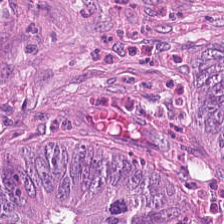Stain: H&E-stained tissue section.
Tissue: adenocarcinoma.
